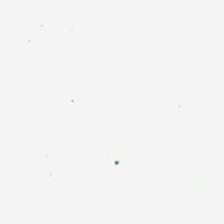This field is background (no tissue).
